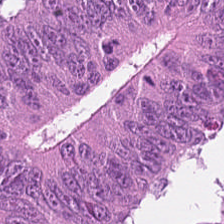0.5 µm per pixel. Hematoxylin-and-eosin stained section. Whole-slide-image patch.
Classification = malignant epithelium.
